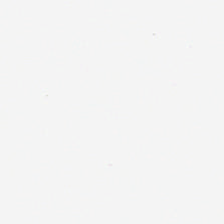Hematoxylin-and-eosin stained section. This field is background (no tissue).
